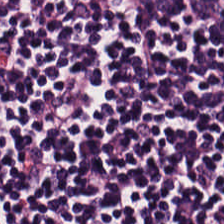Predominantly lymphocytes.
